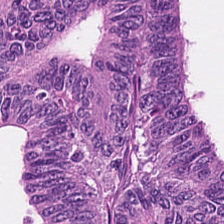Q: What type of tissue is this?
A: The field shows colorectal adenocarcinoma.
